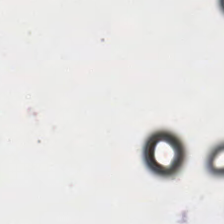Hematoxylin-and-eosin stained section — Q: What is shown here?
A: This is no tissue.
